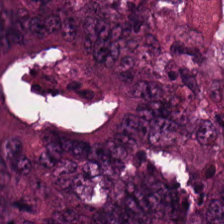H&E-stained tissue section showing colorectal adenocarcinoma epithelium.
